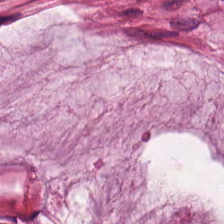H&E stain — Histology → mucus.
